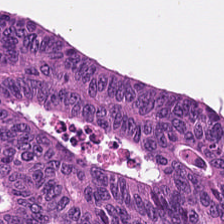H&E stain. Q: Identify the tissue.
A: This is malignant epithelium.
